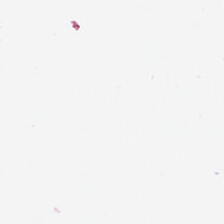No tissue.
